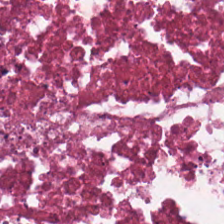Hematoxylin and eosin.
Predominantly necrotic debris.
